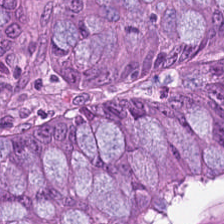FFPE tissue section; hematoxylin-and-eosin stained section.
Predominantly tumor epithelium.
